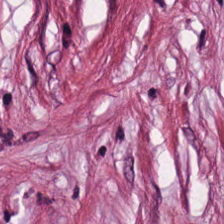Stain: H&E.
Acquisition: brightfield microscopy.
Preparation: FFPE.
Tissue type: cancer-associated stroma.
